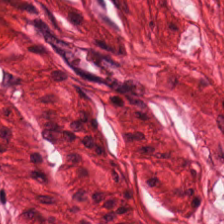WSI patch; hematoxylin and eosin — Smooth-muscle tissue.
